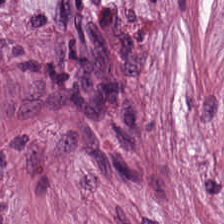Stain: H&E-stained tissue section.
Tissue class: desmoplastic stroma.
